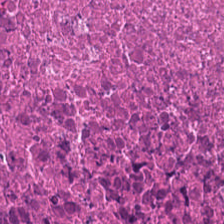Hematoxylin-and-eosin stained section. The predominant tissue is debris.
